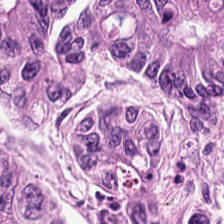H&E-stained tissue section. 0.5 µm per pixel.
Q: What does this patch show?
A: This is colorectal adenocarcinoma.
